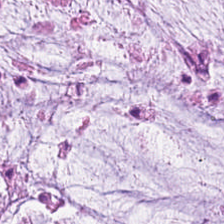H&E stain.
Q: Classify this patch.
A: Extracellular mucin.
